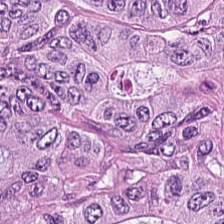224×224 px patch; H&E stain.
Q: Classify this patch.
A: This is malignant epithelium.
